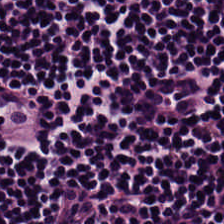Hematoxylin-and-eosin stained section. Tissue — lymphocytic infiltrate.
